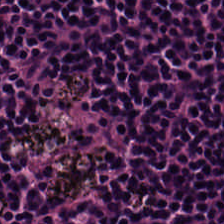The tissue is lymphocytes.
